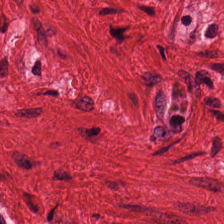This field is smooth muscle.
